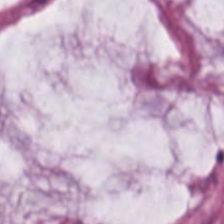Q: What tissue is shown?
A: The field shows extracellular mucin.
